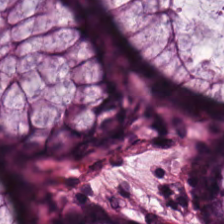H&E stain. Histology → normal colonic mucosa.
